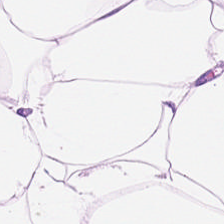This field is adipose.
